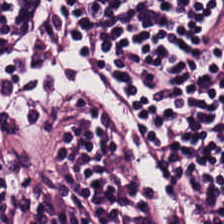20× equivalent magnification. 224×224 px tile. H&E — Tissue: lymphocytic infiltrate.
